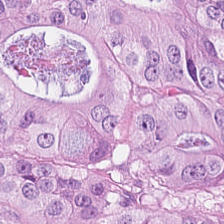The predominant tissue is colorectal adenocarcinoma.
